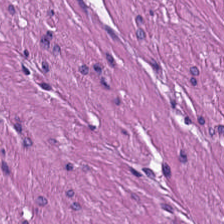H&E stain — Finding → smooth muscle.
